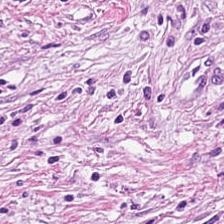224×224 pixel tile · H&E-stained tissue section.
Tissue type: cancer-associated stroma.
